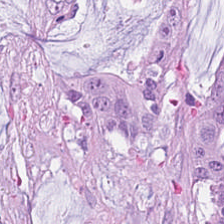Hematoxylin and eosin.
Tissue: extracellular mucin.
